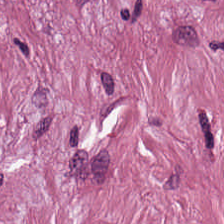Stain: H&E-stained tissue section.
Classification: tumor-associated stroma.
